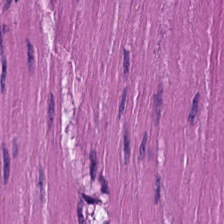Brightfield microscopy · H&E stain — {"tissue_type": "muscularis"}
